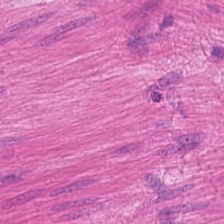H&E.
{"tissue_type": "smooth muscle"}
